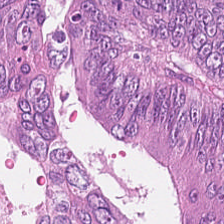H&E stain · 224×224 px patch.
Predominant tissue = colorectal adenocarcinoma.
